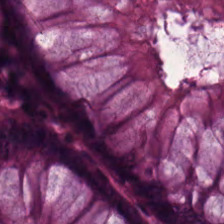H&E-stained section; the field shows non-neoplastic colon mucosa.
